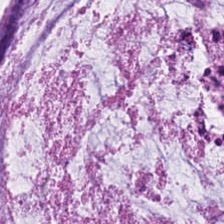Formalin-fixed paraffin-embedded section; 224×224 px tile; hematoxylin-and-eosin stained section. Finding → extracellular mucin.
